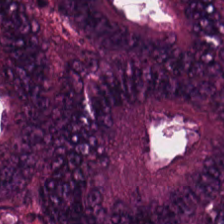20× equivalent magnification; H&E stain; 224×224 px patch.
The predominant tissue is colorectal adenocarcinoma epithelium.
